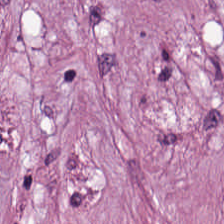FFPE tissue section. Brightfield. H&E stain — Showing desmoplastic stroma.
